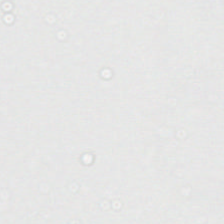H&E-stained tissue section — Q: What does this patch show?
A: This is background.
